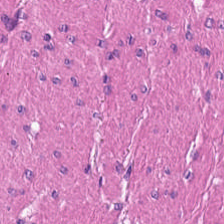Hematoxylin and eosin.
Showing smooth-muscle tissue.
